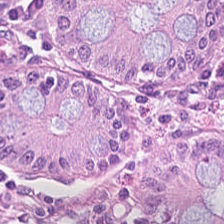224×224 px tile. H&E stain — This patch shows non-neoplastic colon mucosa.
